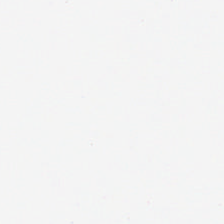H&E-stained tissue section. The field content is empty background.
